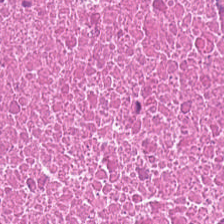Hematoxylin and eosin. Whole-slide-image patch. Debris.
